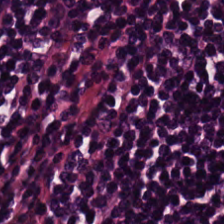Stain: hematoxylin-and-eosin stained section.
Resolution: 0.5 microns per pixel.
Tissue type: lymphocytes.
